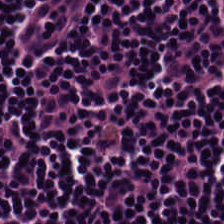This patch shows lymphocytes.
